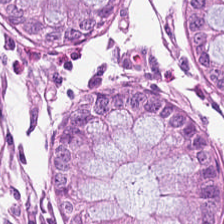Stain: H&E stain.
Preparation: FFPE tissue section.
Classification: benign colonic mucosa.
